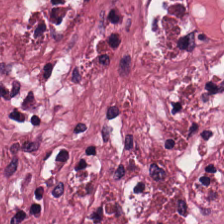H&E — tumor-associated stroma.
